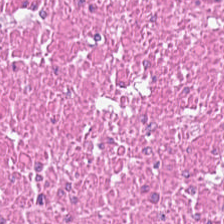Tissue class = muscularis.
